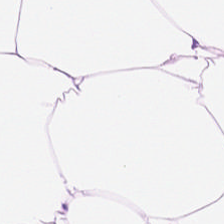Whole-slide-image patch · hematoxylin and eosin. The tissue type is adipose.
